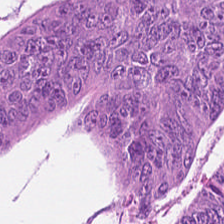H&E stain.
Colorectal adenocarcinoma epithelium.
